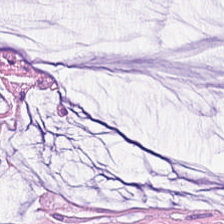H&E-stained tissue section showing mucin.
